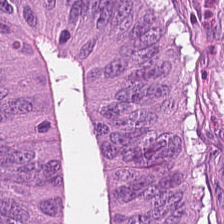Tissue type — colorectal adenocarcinoma.
